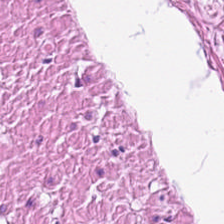H&E-stained tissue section — Finding — smooth muscle.
